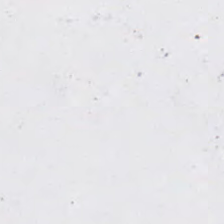H&E stain; 224×224 pixel tile.
Q: What does this patch show?
A: Background (no tissue).
